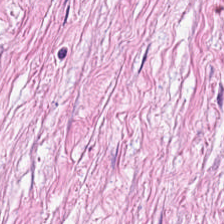Hematoxylin-and-eosin stained section — The predominant tissue is tumor-associated stroma.
